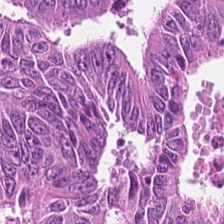H&E stain. 224×224 pixel tile — Predominant tissue — malignant epithelium.
